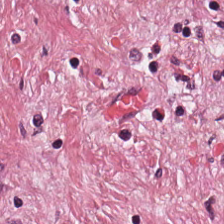0.5 microns per pixel · 224×224 px patch · H&E.
This field is tumor stroma.
